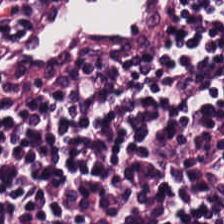224×224 pixel tile. 20× equivalent magnification. H&E-stained tissue section. Predominant tissue: lymphocytes.
